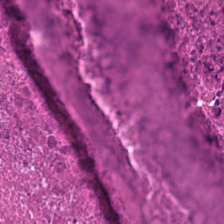Hematoxylin-and-eosin stained section — Histology — necrotic debris.
